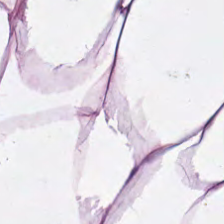Hematoxylin-and-eosin stained section · 20× equivalent magnification. Classification — adipose tissue.
